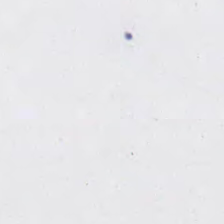Whole-slide-image patch; H&E; 224×224 px tile — Background — no tissue in this field.
